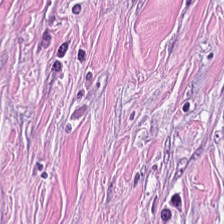Hematoxylin and eosin; WSI patch; 20× equivalent magnification.
Tissue type = desmoplastic stroma.
